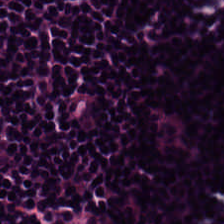H&E.
Lymphocyte aggregate.
